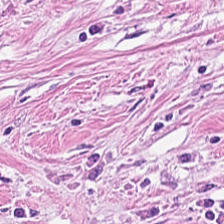0.5 µm per pixel · hematoxylin and eosin · whole-slide-image patch. Tissue type: tumor-associated stroma.
